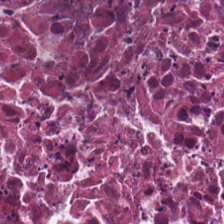H&E stain · 0.5 microns per pixel — Impression — debris.
